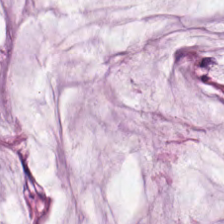Whole-slide-image patch; H&E-stained tissue section — Impression — mucus.
